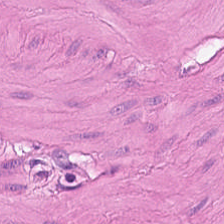H&E — This patch shows smooth muscle.
